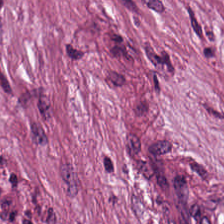Tissue type — desmoplastic stroma.
